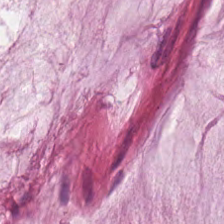Hematoxylin and eosin; 0.5 microns per pixel — The classification is mucin.
